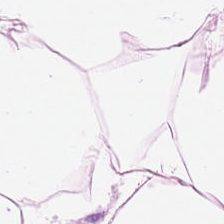Tissue: adipose tissue.
